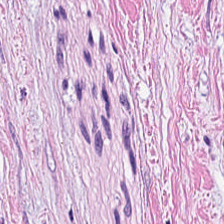H&E stain; whole-slide-image patch. Classification = tumor-associated stroma.
